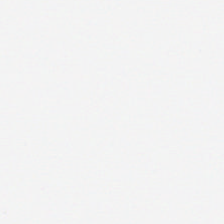Stain: H&E.
Content: no tissue.
